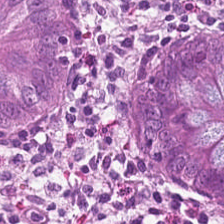224×224 pixel tile · hematoxylin-and-eosin stained section. Q: What tissue type is shown here?
A: This is benign colonic mucosa.
